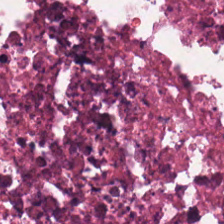Whole-slide-image patch · hematoxylin and eosin. Q: What type of tissue is this?
A: The field shows debris.
